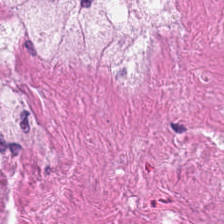H&E stain. {"tissue_type": "cellular debris"}
